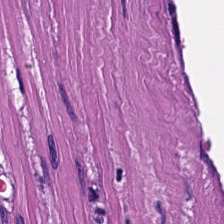Hematoxylin-and-eosin stained section — The predominant tissue is smooth muscle.
